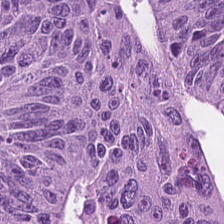WSI patch · formalin-fixed paraffin-embedded section · hematoxylin and eosin. This field is colorectal adenocarcinoma.
